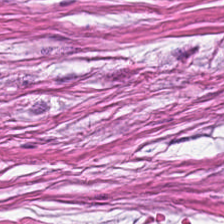H&E stain. Tissue type — tumor-associated stroma.
